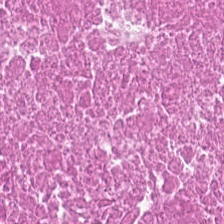Histology — cellular debris.
